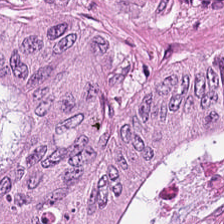FFPE · hematoxylin and eosin.
Classification: malignant epithelium.
